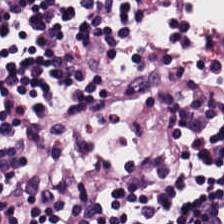H&E stain — Q: Classify this patch.
A: It is lymphocytes.
